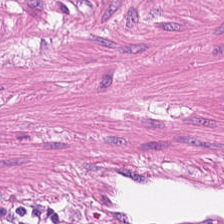FFPE. H&E-stained tissue section — Predominant tissue = smooth-muscle tissue.
